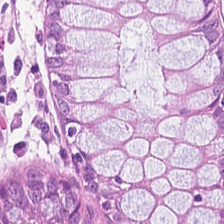Hematoxylin and eosin. Q: What does this patch show?
A: Benign colonic mucosa.
